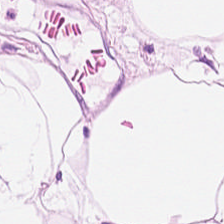Hematoxylin and eosin · 224×224 px tile.
Predominantly fat tissue.
